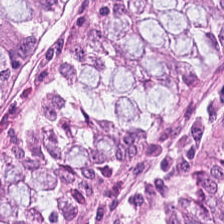Stain: H&E stain.
Tissue type: normal colon mucosa.
